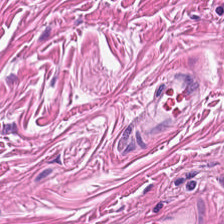Hematoxylin-and-eosin stained section — The tissue is muscularis.
